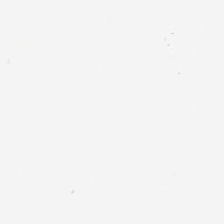The content is background (no tissue).
